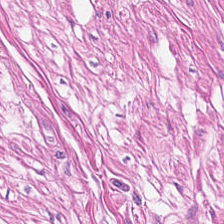H&E-stained tissue section; formalin-fixed paraffin-embedded section; WSI patch.
Showing smooth-muscle tissue.
